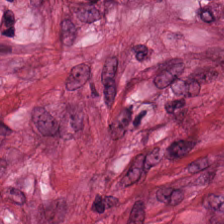Stain: hematoxylin-and-eosin stained section.
Preparation: FFPE tissue section.
Tissue: tumor-associated stroma.
